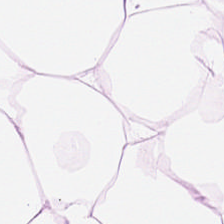Hematoxylin-and-eosin stained section. Impression → adipose.
